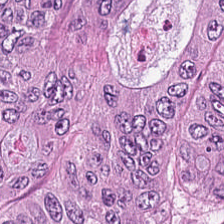H&E · 0.5 microns per pixel · WSI patch — Q: What does this patch show?
A: Malignant epithelium.
